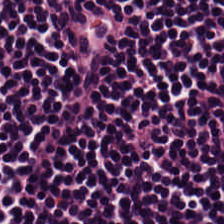Q: Classify this patch.
A: It is lymphocytic infiltrate.
